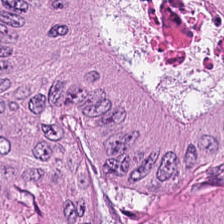Hematoxylin and eosin; 224×224 pixel tile — The tissue class is adenocarcinoma.
